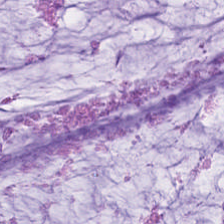Mucus.
